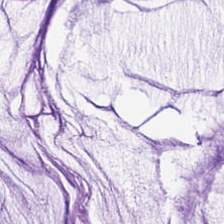Stain: H&E-stained tissue section.
Classification: mucin.
